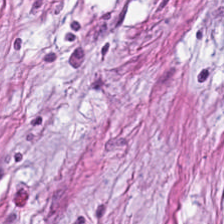The tissue here is tumor stroma.
